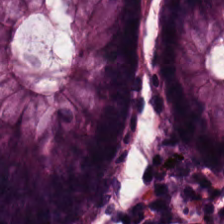This field is normal colonic mucosa.
